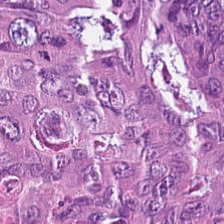FFPE tissue section; 224×224 px tile; H&E. Impression — tumor epithelium.
